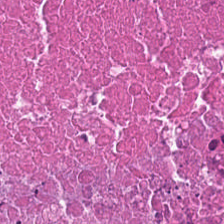Whole-slide-image patch. Hematoxylin and eosin.
{"tissue_type": "debris"}
